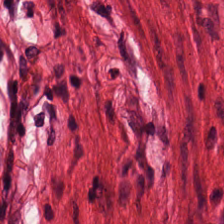H&E — Predominant tissue: muscularis.
